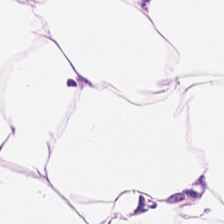Showing adipose.
